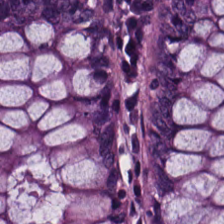H&E stain. The tissue type is normal colonic mucosa.
